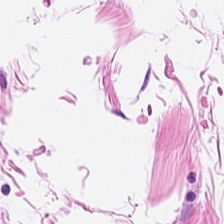H&E · formalin-fixed paraffin-embedded section. Q: What type of tissue is this?
A: This is fat tissue.
